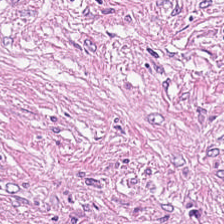H&E stain. Tissue type = tumor stroma.
